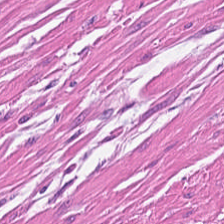Tissue type = smooth-muscle tissue.
